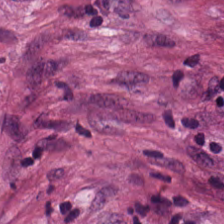224×224 pixel tile; 0.5 µm/px; H&E.
The predominant tissue is tumor-associated stroma.
